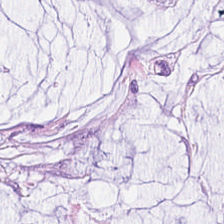FFPE tissue section; hematoxylin and eosin.
The tissue here is mucin.
